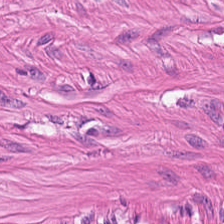H&E-stained tissue section. Q: What tissue is shown?
A: It is smooth muscle.
